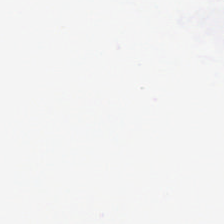H&E.
Q: What is shown in this field?
A: It is background.
